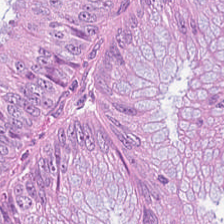FFPE tissue section; H&E; WSI patch. Classification = adenocarcinoma.
